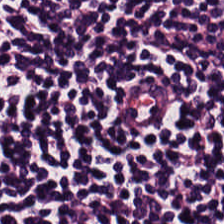0.5 microns per pixel · H&E stain.
Q: What is shown in this field?
A: The field shows lymphocytes.
